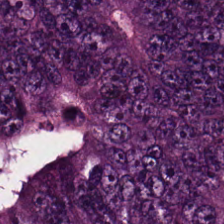Hematoxylin and eosin.
This field is colorectal adenocarcinoma epithelium.
